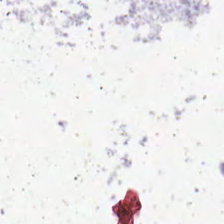H&E stain. 224×224 px tile. Content — background.
